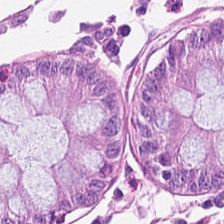H&E-stained tissue section. 224×224 pixel tile. Finding — benign colonic mucosa.
